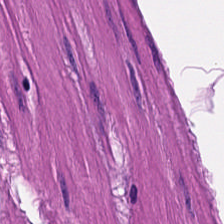Hematoxylin and eosin. Q: What is shown here?
A: This is smooth-muscle tissue.
